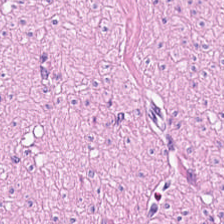H&E stain; WSI patch. Showing smooth-muscle tissue.
